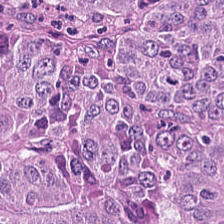0.5 µm per pixel. H&E. The predominant tissue is colorectal adenocarcinoma epithelium.
